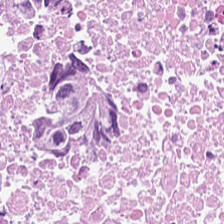{"tissue_type": "necrotic debris"}
